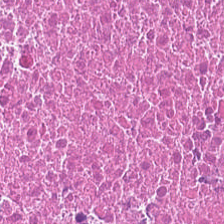H&E stain.
Cellular debris.
